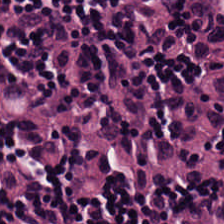H&E-stained section; the field shows lymphoid infiltrate.
